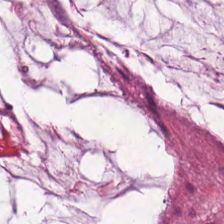Stain: H&E-stained tissue section.
Tissue type: mucin.
